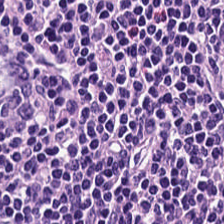H&E — lymphocyte aggregate.
